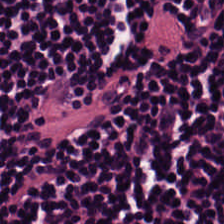H&E — lymphocytic infiltrate.
